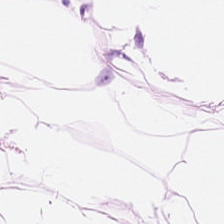H&E.
Finding — adipose tissue.
